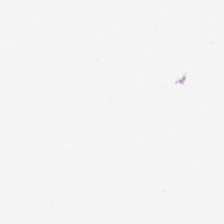Stain: hematoxylin and eosin.
Content: empty background.
